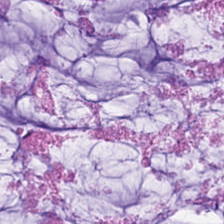Hematoxylin-and-eosin stained section. The tissue here is mucin.
